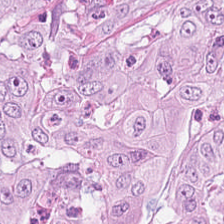Hematoxylin-and-eosin stained section.
Predominant tissue — malignant epithelium.
